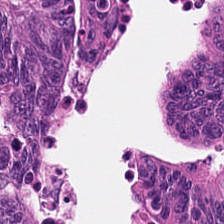Hematoxylin and eosin.
Showing colorectal adenocarcinoma.
